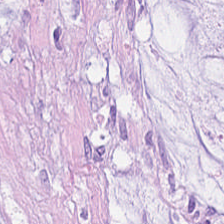Stain: H&E stain.
Resolution: 0.5 microns per pixel.
Preparation: formalin-fixed paraffin-embedded section.
Tissue: mucin.
